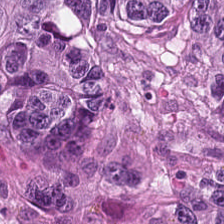Impression → colorectal adenocarcinoma.
